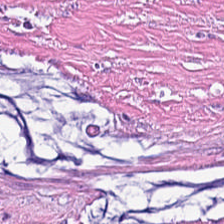H&E stain.
Tumor-associated stroma.
